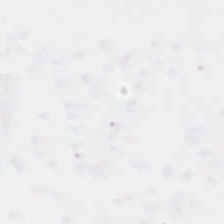Empty field — empty background.
